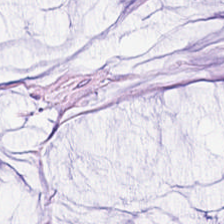Stain: H&E-stained tissue section.
Preparation: FFPE tissue section.
Tissue class: mucin.
